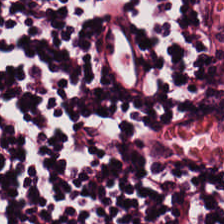0.5 µm/px · hematoxylin and eosin · whole-slide-image patch — Q: Classify this patch.
A: This is lymphocytic infiltrate.
